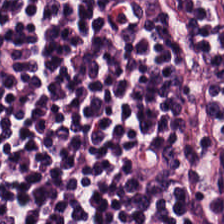Stain: H&E.
Acquisition: brightfield microscopy.
Tile size: 224×224 pixel tile.
Tissue: lymphocytes.
